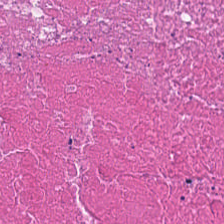Stain: hematoxylin and eosin.
Tissue type: cellular debris.
